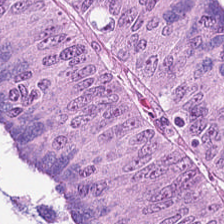H&E stain.
Tissue — colorectal adenocarcinoma epithelium.
